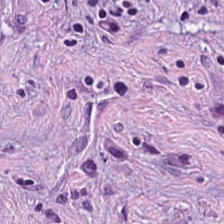Histology → tumor-associated stroma.
